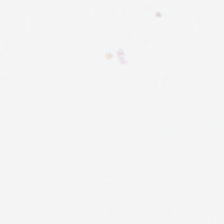Hematoxylin and eosin.
This patch shows background.
